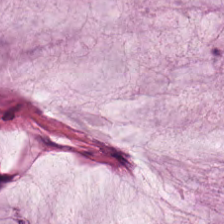Stain: H&E.
Classification: mucin.
